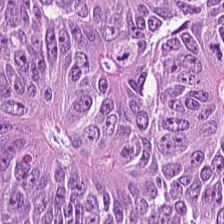Hematoxylin and eosin.
The predominant tissue is colorectal adenocarcinoma.
